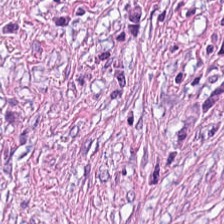H&E-stained tissue section.
This field is tumor stroma.
